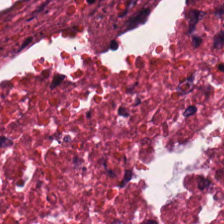224×224 px tile. Hematoxylin and eosin. Finding → debris.
